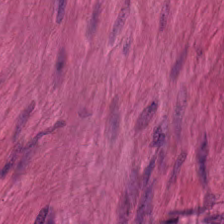Hematoxylin and eosin. Predominantly smooth muscle.
